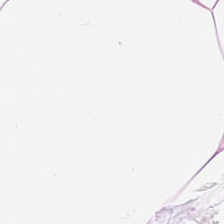Hematoxylin and eosin.
Q: What is the predominant tissue type?
A: Adipose tissue.
